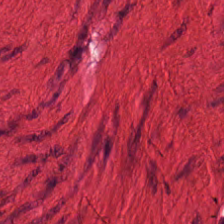H&E stain.
Q: What is the predominant tissue type?
A: This is muscularis.
